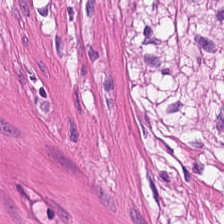H&E; 0.5 microns per pixel.
Tissue type — smooth muscle.
